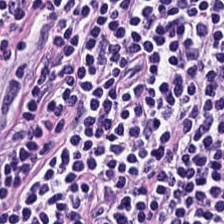The tissue here is lymphocyte aggregate.
